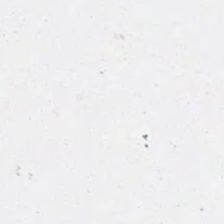Hematoxylin and eosin. No tissue present; background only.
